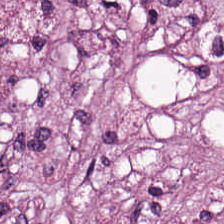H&E — Tumor-associated stroma.
